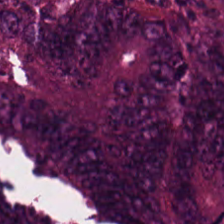H&E-stained tissue section · 224×224 pixel tile. The tissue here is colorectal adenocarcinoma.
